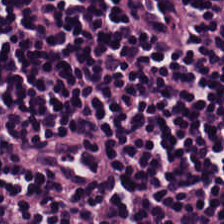H&E-stained tissue section — {"tissue_type": "lymphocytic infiltrate"}
